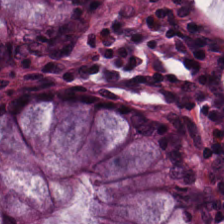Hematoxylin and eosin.
The predominant tissue is non-neoplastic colon mucosa.
